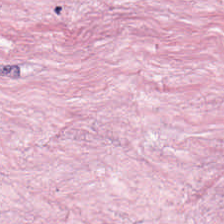Brightfield. 224×224 px patch. H&E.
Q: What tissue type is shown here?
A: This is tumor stroma.
